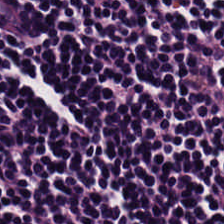0.5 µm per pixel; H&E stain.
The predominant tissue is lymphocytes.
